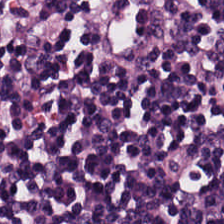Hematoxylin and eosin. Predominantly lymphocytic infiltrate.
